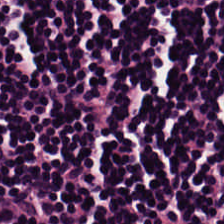0.5 microns per pixel · H&E. The predominant tissue is lymphocyte aggregate.
